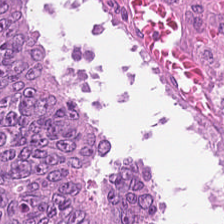The tissue here is colorectal adenocarcinoma epithelium.
